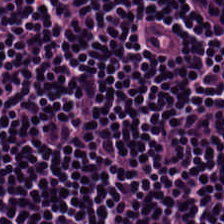H&E-stained tissue section · FFPE.
The predominant tissue is lymphoid infiltrate.
